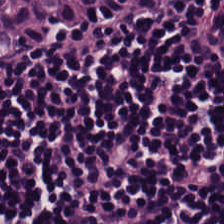Stain: H&E stain.
Predominant tissue: lymphoid infiltrate.
